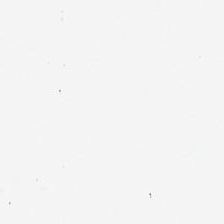Hematoxylin-and-eosin stained section. Empty field — empty background.
